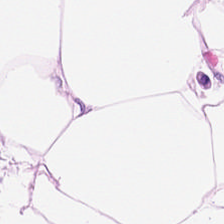H&E stain — The predominant tissue is adipose.
